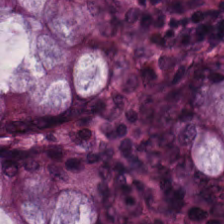H&E · 224×224 px tile — Tissue = normal colonic mucosa.
